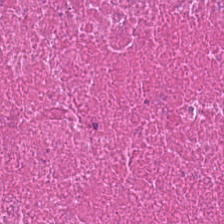H&E-stained tissue section showing necrotic debris.
